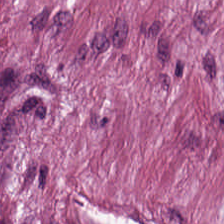H&E-stained tissue section.
Tissue type — tumor stroma.
